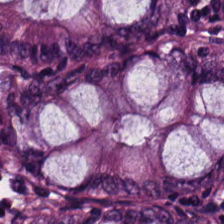Hematoxylin-and-eosin stained section; FFPE. Q: What is shown here?
A: The field shows non-neoplastic colon mucosa.
